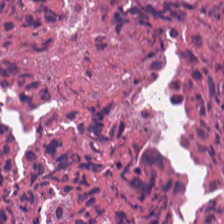Hematoxylin-and-eosin stained section — Q: What type of tissue is this?
A: This is cellular debris.
